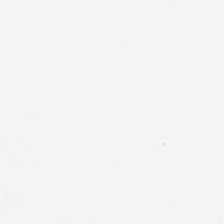H&E-stained tissue section.
{"content": "background (no tissue)"}
